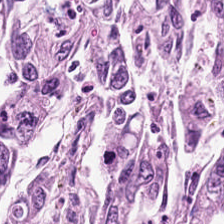WSI patch. H&E-stained tissue section — Predominant tissue — colorectal adenocarcinoma.
